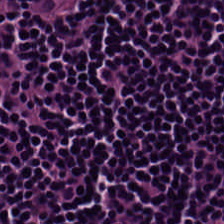Histology → lymphocytic infiltrate.
